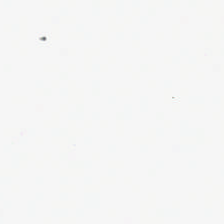{"content": "no tissue"}
